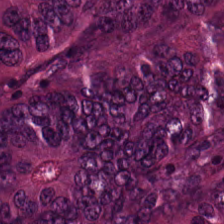H&E stain.
{"tissue_type": "malignant epithelium"}
